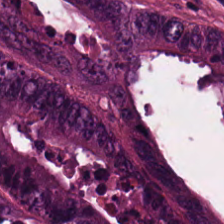H&E stain. 224×224 px tile. 0.5 µm per pixel. The predominant tissue is adenocarcinoma.
